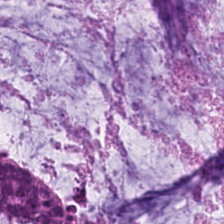Stain: H&E.
Predominant tissue: mucin.
